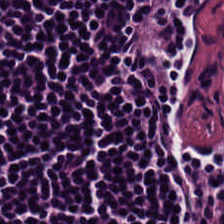Brightfield microscopy · H&E. Lymphocyte aggregate.
